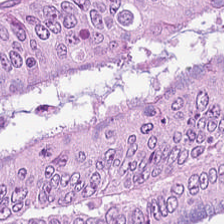{"tissue_type": "colorectal adenocarcinoma"}
